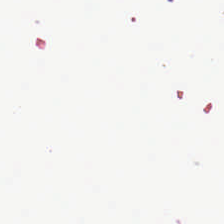Stain: hematoxylin and eosin.
Classification: empty background.
